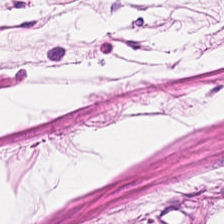This field is smooth-muscle tissue.
